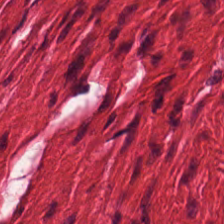H&E.
Smooth-muscle tissue.
